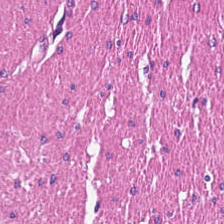H&E. This field is smooth-muscle tissue.
